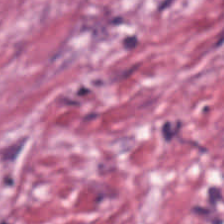H&E · FFPE.
Q: What does this patch show?
A: This is cancer-associated stroma.
